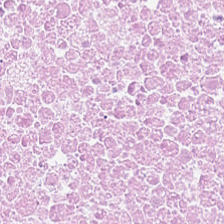Hematoxylin and eosin. Impression → necrotic debris.
